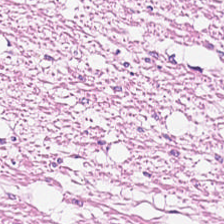H&E-stained tissue section.
This patch shows muscularis.
